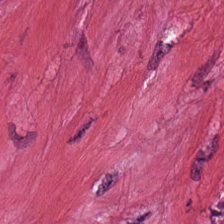Hematoxylin-and-eosin stained section. Tumor-associated stroma.
